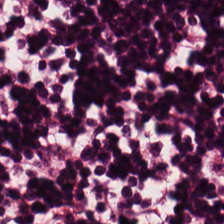Hematoxylin and eosin; formalin-fixed paraffin-embedded section — Q: What is shown here?
A: Lymphoid infiltrate.
